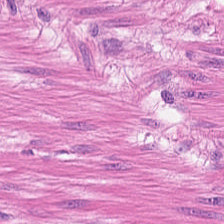Hematoxylin-and-eosin stained section — Predominantly smooth-muscle tissue.
